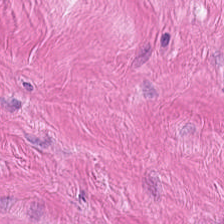H&E. 0.5 microns per pixel — Showing smooth-muscle tissue.
